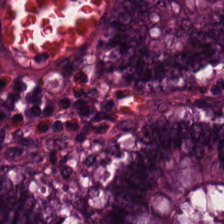Hematoxylin-and-eosin stained section; WSI patch. This patch shows normal colonic mucosa.
